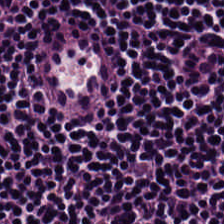224×224 pixel tile · hematoxylin and eosin. Q: What does this patch show?
A: The field shows lymphocytic infiltrate.
